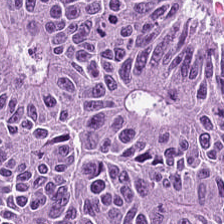H&E stain · FFPE — The tissue here is adenocarcinoma.
